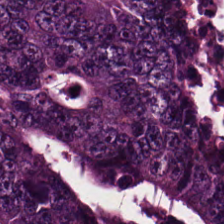Stain: H&E stain.
Predominant tissue: adenocarcinoma.
